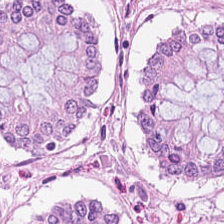FFPE; hematoxylin and eosin; 224×224 pixel tile. Classification: benign colonic mucosa.
